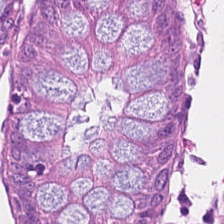Hematoxylin-and-eosin stained section — Histology → normal colonic mucosa.
